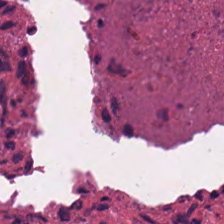Hematoxylin and eosin. {"tissue_type": "cellular debris"}
